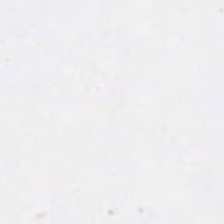Background — no tissue in this field.
